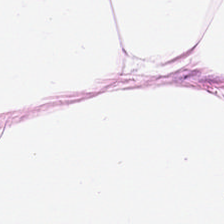20× equivalent magnification; hematoxylin-and-eosin stained section — Showing fat tissue.
